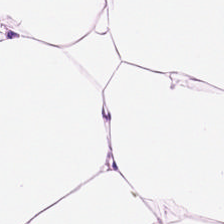Stain: hematoxylin-and-eosin stained section.
Tissue class: adipose.
